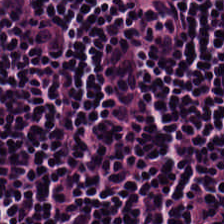Hematoxylin and eosin — The predominant tissue is lymphocyte aggregate.
